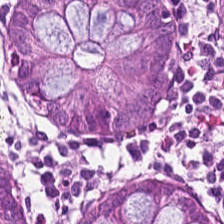0.5 µm per pixel · H&E · FFPE tissue section. Tissue class — normal colon mucosa.
